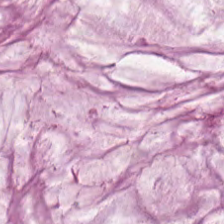H&E-stained tissue section. The predominant tissue is mucus.
